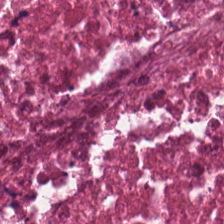Hematoxylin and eosin · FFPE tissue section · whole-slide-image patch — Q: What type of tissue is this?
A: This is necrotic debris.
